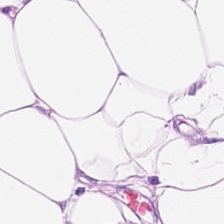Hematoxylin-and-eosin stained section.
Showing adipose tissue.
